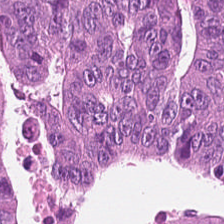H&E; whole-slide-image patch. Impression — tumor epithelium.
